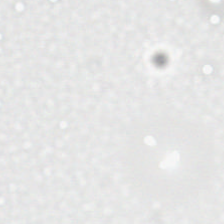Hematoxylin-and-eosin stained section.
Background — no tissue in this field.
